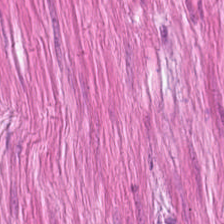H&E stain — {"tissue_type": "muscularis"}
